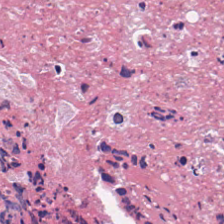Hematoxylin-and-eosin stained section. Q: What tissue type is shown here?
A: It is cellular debris.
